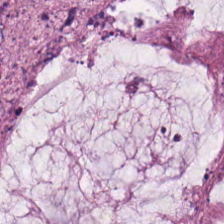224×224 px tile · H&E.
Mucin.
